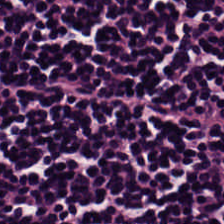H&E — Impression → lymphocytic infiltrate.
